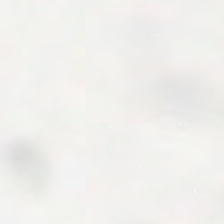H&E. 224×224 px tile. Brightfield — Content: no tissue.
